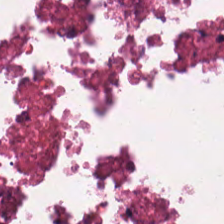H&E.
Predominantly debris.
